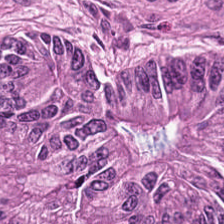Hematoxylin-and-eosin stained section — This patch shows colorectal adenocarcinoma.
